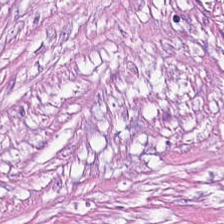Classification: cancer-associated stroma.
